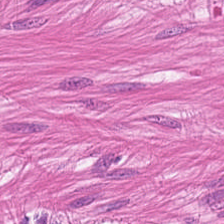H&E stain. The tissue is smooth muscle.
